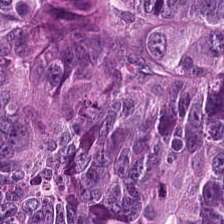Hematoxylin-and-eosin stained section — The classification is colorectal adenocarcinoma.
